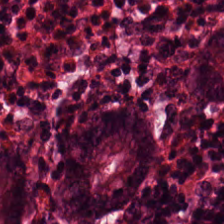H&E stain. 20× equivalent magnification. Normal colon mucosa.
